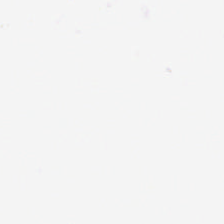Hematoxylin and eosin. WSI patch — Finding → background.
